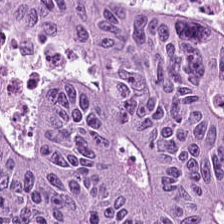The tissue here is tumor epithelium.
